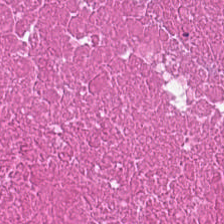FFPE; brightfield; hematoxylin-and-eosin stained section. Histology — cellular debris.
